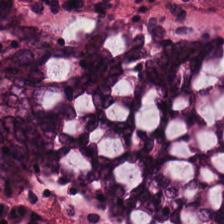Stain: hematoxylin-and-eosin stained section.
Tissue type: non-neoplastic colon mucosa.
